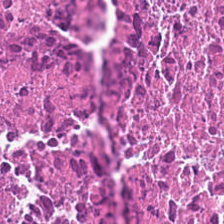H&E-stained tissue section.
Finding — cellular debris.
